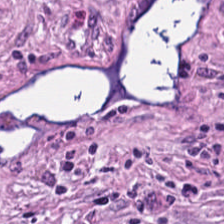H&E stain.
Classification — tumor stroma.
